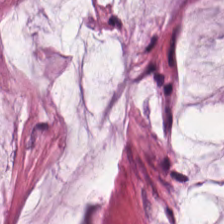H&E — Q: What is shown here?
A: The field shows mucin.
